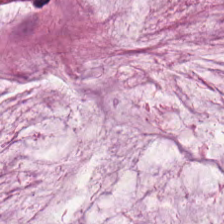H&E-stained tissue section. The tissue here is extracellular mucin.
